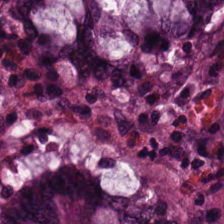Hematoxylin-and-eosin stained section; 224×224 pixel tile — The tissue here is benign colonic mucosa.
